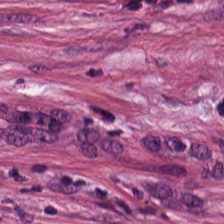Stain: H&E stain.
Tissue: cancer-associated stroma.
